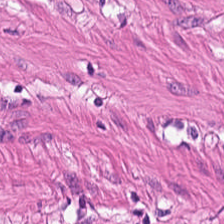H&E — The tissue here is smooth muscle.
